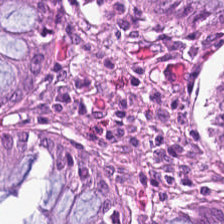224×224 pixel tile · formalin-fixed paraffin-embedded section · H&E-stained tissue section.
Impression — normal colon mucosa.
